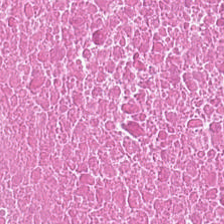The predominant tissue is necrotic debris.
